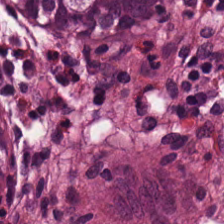FFPE; H&E-stained tissue section; 20× equivalent magnification. Predominantly normal colonic mucosa.
